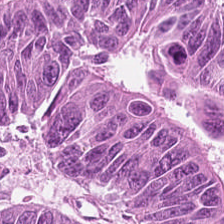Stain: hematoxylin and eosin.
Tile size: 224×224 px tile.
Resolution: 20× equivalent magnification.
Tissue: tumor epithelium.
